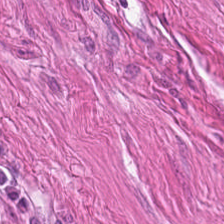Hematoxylin and eosin — Showing muscularis.
